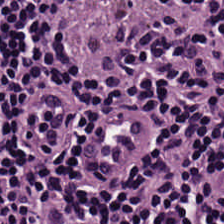Hematoxylin-and-eosin stained section. This field is lymphoid infiltrate.
